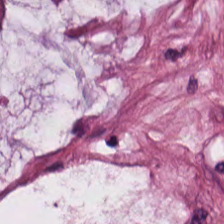0.5 µm per pixel; H&E-stained tissue section — Q: What tissue type is shown here?
A: This is mucus.
